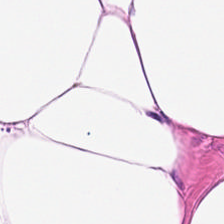H&E-stained tissue section — Adipose tissue.
